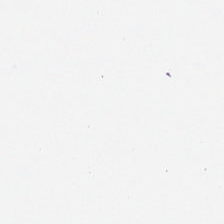Impression → background (no tissue).
